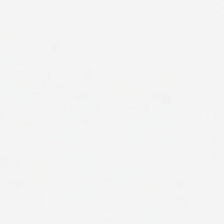{"content": "background"}
